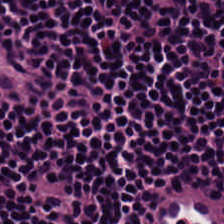H&E-stained tissue section. Tissue type — lymphocyte aggregate.
